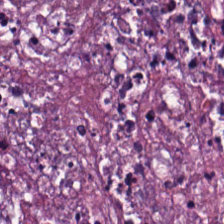Formalin-fixed paraffin-embedded section; 224×224 px patch; hematoxylin-and-eosin stained section.
Predominantly cellular debris.
